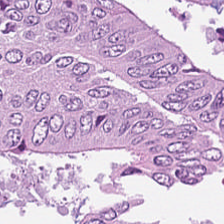H&E. Tissue = tumor epithelium.
